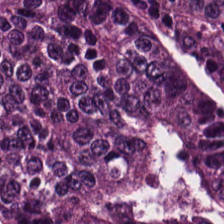Tissue class: colorectal adenocarcinoma.
